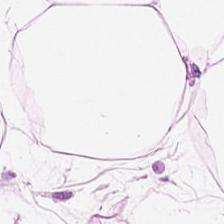0.5 µm/px · H&E stain.
Adipose.
